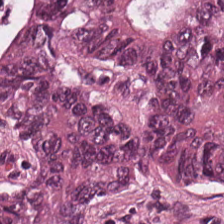Stain: H&E stain.
Classification: colorectal adenocarcinoma.
